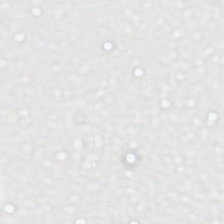The field content is no tissue.
